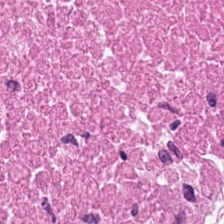H&E — Impression — cellular debris.
